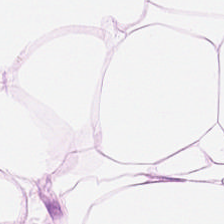Hematoxylin-and-eosin stained section; 0.5 microns per pixel; formalin-fixed paraffin-embedded section — The tissue class is adipose.
